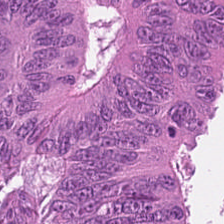Hematoxylin-and-eosin stained section. {"tissue_type": "tumor epithelium"}
